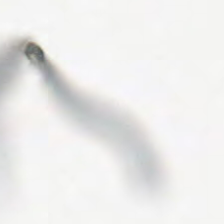H&E stain; 0.5 µm per pixel; FFPE.
{"content": "empty background"}
